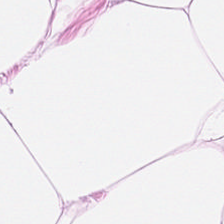Hematoxylin and eosin. The tissue class is fat tissue.
